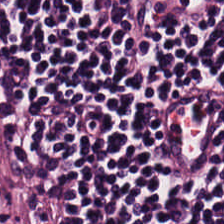H&E-stained tissue section. 224×224 px tile.
The tissue class is lymphoid infiltrate.
